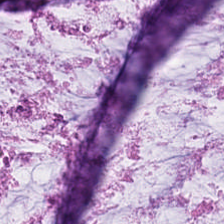Hematoxylin-and-eosin stained section; formalin-fixed paraffin-embedded section.
Tissue type = extracellular mucin.
